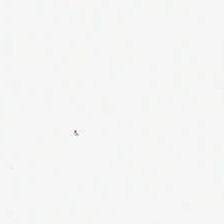No tissue.
